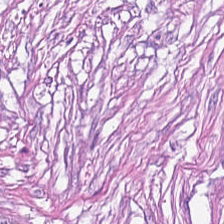H&E stain. The tissue here is tumor stroma.
